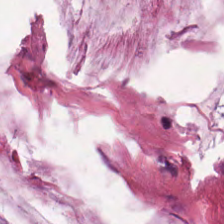Hematoxylin and eosin — Classification = mucin.
